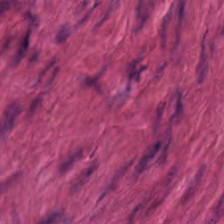H&E · formalin-fixed paraffin-embedded section. Q: Classify this patch.
A: Smooth muscle.
